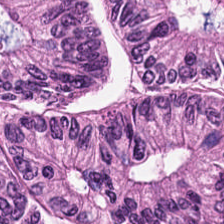H&E stain — Q: What is shown in this field?
A: This is malignant epithelium.
